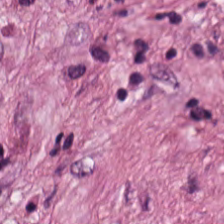FFPE tissue section · hematoxylin and eosin — Q: What is shown here?
A: It is tumor-associated stroma.
